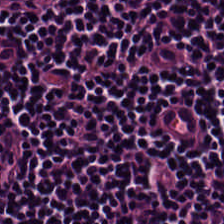H&E.
Predominant tissue = lymphocyte aggregate.
